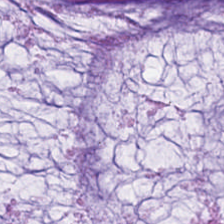Hematoxylin-and-eosin stained section — Predominantly extracellular mucin.
